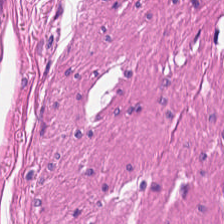Stain: hematoxylin-and-eosin stained section.
Tissue class: smooth muscle.
